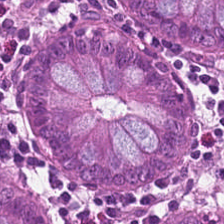H&E-stained tissue section. Predominantly non-neoplastic colon mucosa.
